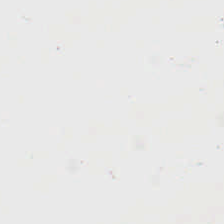Hematoxylin-and-eosin stained section; 0.5 µm/px — Classification: background (no tissue).
